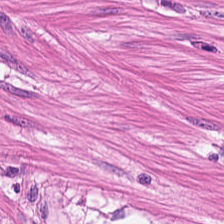Hematoxylin and eosin. Finding — smooth muscle.
